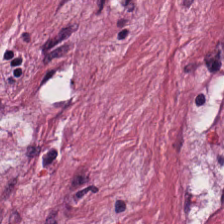H&E — desmoplastic stroma.
